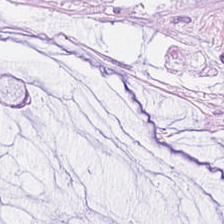FFPE tissue section; hematoxylin and eosin — Histology → extracellular mucin.
